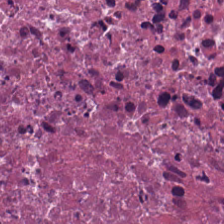Hematoxylin and eosin. This patch shows debris.
